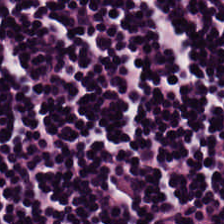Hematoxylin-and-eosin stained section — Q: What tissue is shown?
A: Lymphocytes.
